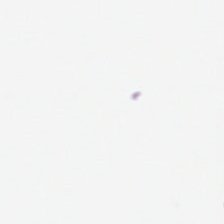Classification — background.
